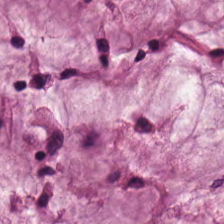H&E-stained tissue section showing mucin.
